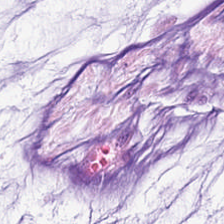H&E stain. Brightfield microscopy. The predominant tissue is mucus.
